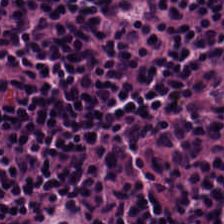Q: What type of tissue is this?
A: This is lymphoid infiltrate.
